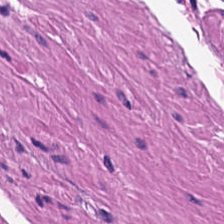H&E patch showing smooth-muscle tissue.
